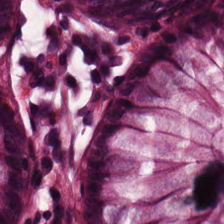H&E — This patch shows benign colonic mucosa.
